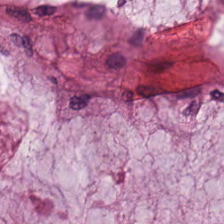Stain: H&E.
Preparation: FFPE.
Predominant tissue: mucin.
